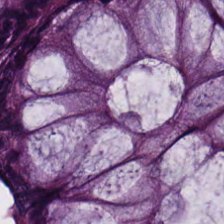{"tissue_type": "benign colonic mucosa"}
